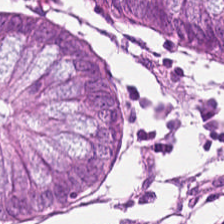H&E-stained tissue section · brightfield — Predominant tissue = normal colon mucosa.
